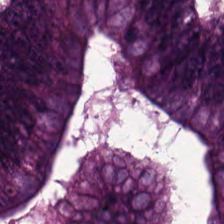224×224 px patch; H&E stain — Predominantly colorectal adenocarcinoma epithelium.
